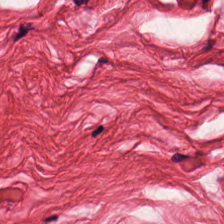FFPE tissue section; H&E stain. Tissue class: muscularis.
